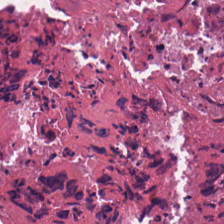H&E-stained tissue section. Predominantly necrotic debris.
